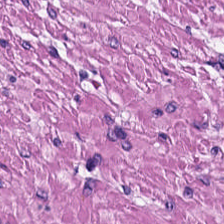H&E.
{"tissue_type": "muscularis"}
